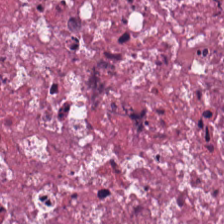H&E-stained tissue section. This field is cellular debris.
